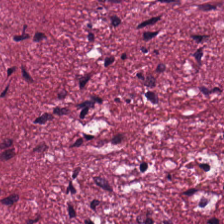H&E.
Finding → tumor-associated stroma.
